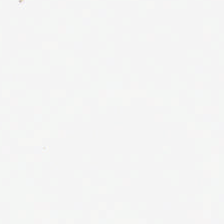Whole-slide-image patch; 224×224 px tile; H&E stain.
{"content": "no tissue"}
